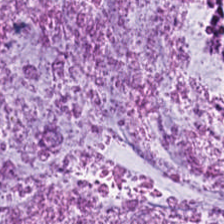H&E.
Impression — mucus.
